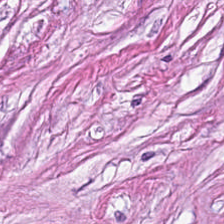Showing tumor stroma.
